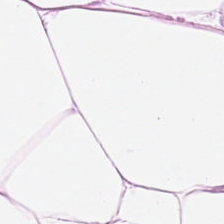Whole-slide-image patch. Hematoxylin-and-eosin stained section. {"tissue_type": "adipose tissue"}
